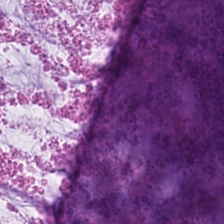Finding — mucus.
